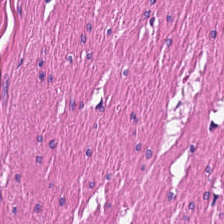Q: Classify this patch.
A: The field shows smooth-muscle tissue.
